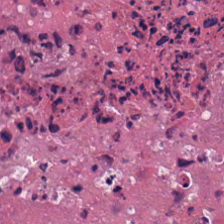Q: Classify this patch.
A: The field shows necrotic debris.
